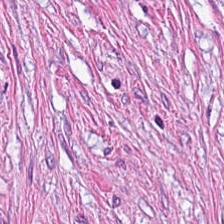H&E stain · formalin-fixed paraffin-embedded section. Tissue — desmoplastic stroma.
